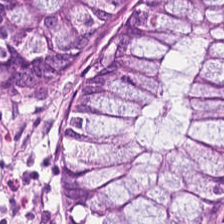Stain: hematoxylin and eosin.
Tissue class: normal colon mucosa.
